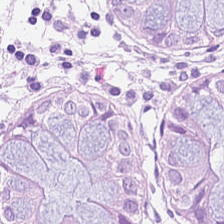20× equivalent magnification. Hematoxylin-and-eosin stained section.
The predominant tissue is normal colonic mucosa.
